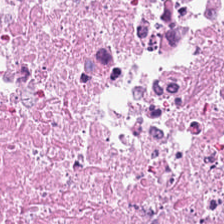The tissue class is cellular debris.
